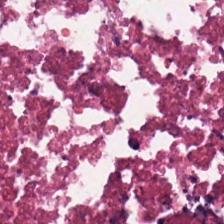{"tissue_type": "cellular debris"}
